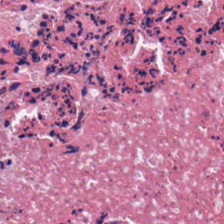H&E-stained tissue section — Q: What type of tissue is this?
A: Cellular debris.
